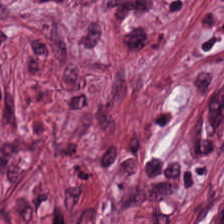Hematoxylin-and-eosin stained section; FFPE tissue section.
Q: What type of tissue is this?
A: It is desmoplastic stroma.
